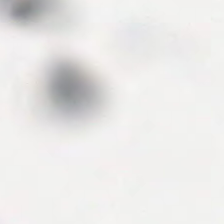Brightfield microscopy · H&E-stained tissue section. Background.
